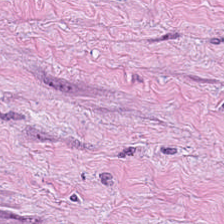Finding → tumor stroma.
